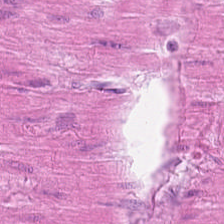H&E stain.
This patch shows smooth-muscle tissue.
